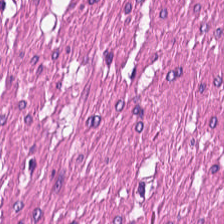FFPE tissue section · hematoxylin-and-eosin stained section — Classification: smooth muscle.
